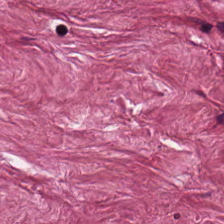Hematoxylin-and-eosin stained section — The tissue here is tumor-associated stroma.
